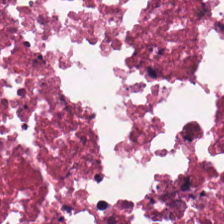H&E-stained tissue section; 0.5 µm per pixel.
{"tissue_type": "debris"}
